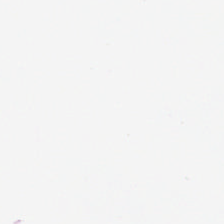Hematoxylin-and-eosin stained section.
Content — background (no tissue).
